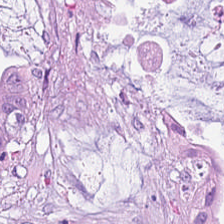The predominant tissue is mucin.
